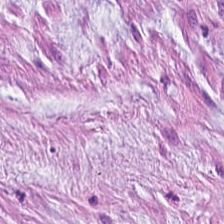224×224 pixel tile · H&E stain — The predominant tissue is mucin.
